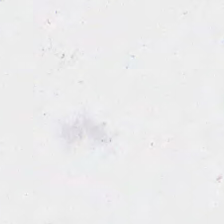FFPE. 0.5 microns per pixel. Hematoxylin-and-eosin stained section — Q: Classify this patch.
A: This is empty background.
